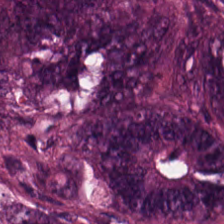The tissue class is adenocarcinoma.
